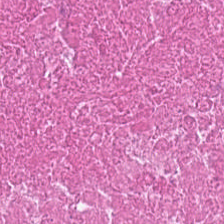Whole-slide-image patch. H&E-stained tissue section. Showing necrotic debris.
